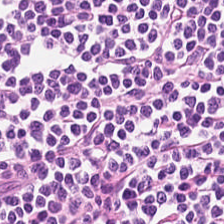H&E-stained tissue section.
Finding — lymphocyte aggregate.
